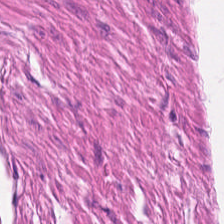The tissue is smooth muscle.
